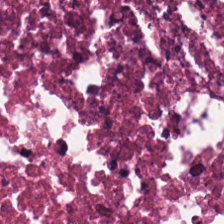Hematoxylin and eosin — The tissue here is debris.
